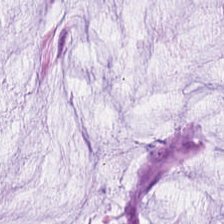Classification — extracellular mucin.
